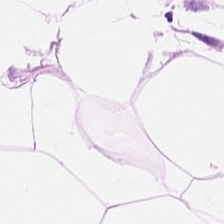Q: What tissue type is shown here?
A: Adipose.
